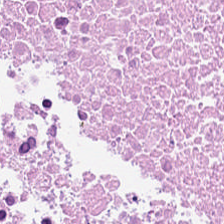Hematoxylin-and-eosin stained section.
Tissue class — debris.
